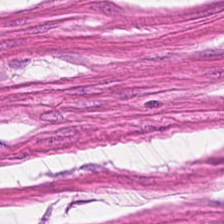0.5 µm per pixel · hematoxylin-and-eosin stained section.
Predominant tissue: smooth-muscle tissue.
